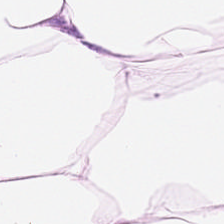Hematoxylin and eosin. Tissue = adipose.
